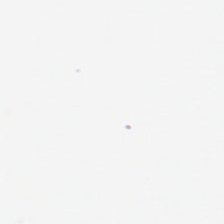0.5 µm/px; H&E-stained tissue section; brightfield. Finding — background (no tissue).
